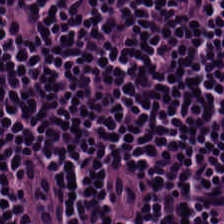H&E-stained tissue section showing lymphocytic infiltrate.
